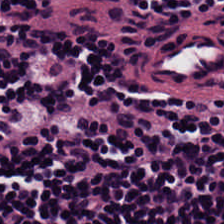Stain: hematoxylin and eosin.
Tile size: 224×224 px tile.
Tissue: lymphocytes.
